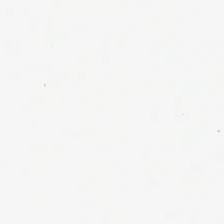20× equivalent magnification. H&E-stained tissue section.
Empty field — no tissue.
